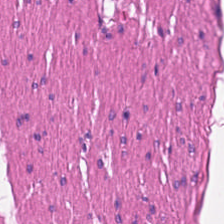H&E-stained tissue section — Tissue: smooth muscle.
